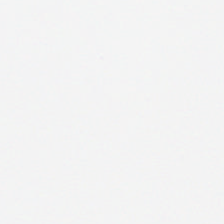Hematoxylin and eosin. Finding → empty background.
